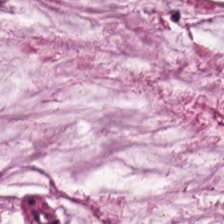Hematoxylin-and-eosin stained section. This patch shows mucin.
